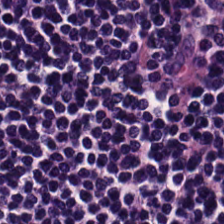WSI patch. H&E stain.
Showing lymphocytic infiltrate.
